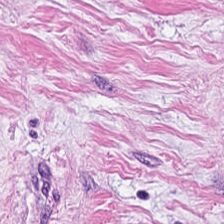H&E stain — This patch shows tumor-associated stroma.
